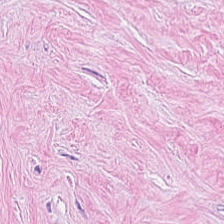Histology — tumor-associated stroma.
